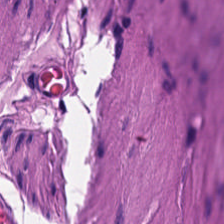Hematoxylin and eosin · 224×224 px patch. Q: What tissue is shown?
A: This is smooth muscle.
